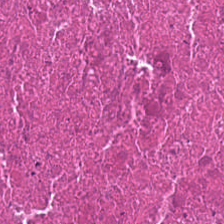H&E-stained tissue section · FFPE tissue section.
Necrotic debris.
